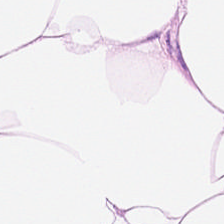224×224 pixel tile; H&E.
Q: What tissue type is shown here?
A: This is adipocytes.
